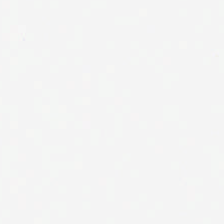Hematoxylin-and-eosin stained section; WSI patch. Q: What does this patch show?
A: The field shows background.
